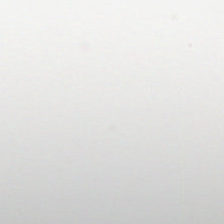H&E-stained tissue section.
Q: Classify this patch.
A: It is empty background.
